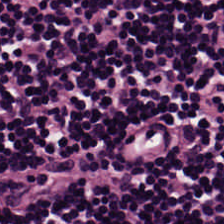H&E.
Showing lymphocyte aggregate.
